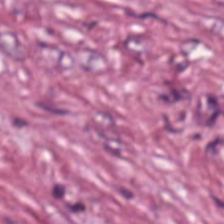H&E — {"tissue_type": "desmoplastic stroma"}
